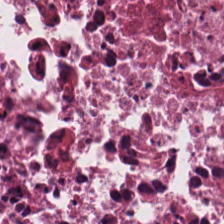Hematoxylin-and-eosin stained section.
Tissue = cellular debris.
